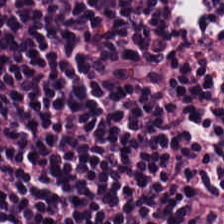Brightfield · H&E — The predominant tissue is lymphocytes.
